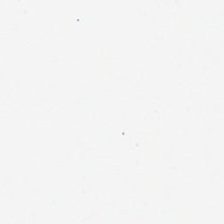H&E stain. Brightfield microscopy — Field content — no tissue.
